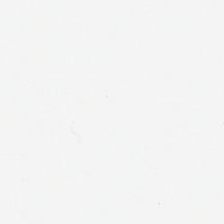Finding — no tissue.
